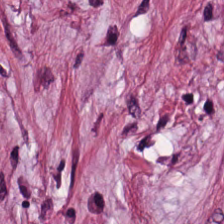Predominant tissue: cancer-associated stroma.
